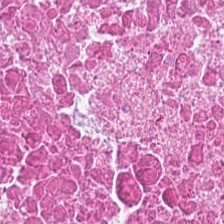Hematoxylin and eosin. Predominantly cellular debris.
